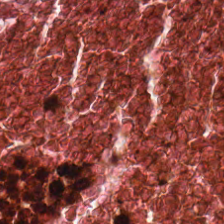Whole-slide-image patch · H&E-stained tissue section — Cellular debris.
